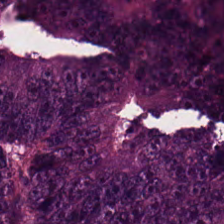Hematoxylin-and-eosin stained section — Predominantly adenocarcinoma.
